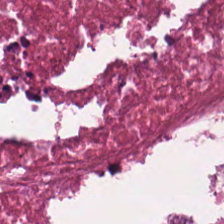H&E-stained tissue section; 224×224 px tile — Impression — cellular debris.
